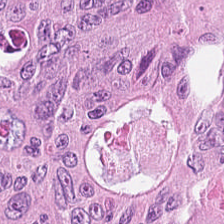H&E stain.
The tissue class is colorectal adenocarcinoma.
